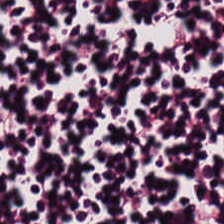Hematoxylin-and-eosin stained section.
The classification is lymphocyte aggregate.
